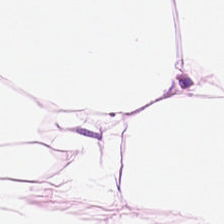H&E-stained tissue section. 224×224 pixel tile. This field is adipose tissue.
